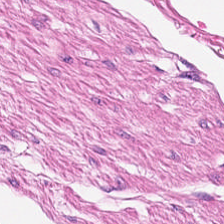H&E-stained tissue section.
Q: What type of tissue is this?
A: The field shows smooth-muscle tissue.
